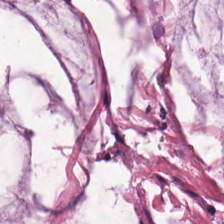0.5 µm per pixel · 224×224 px tile · hematoxylin-and-eosin stained section.
Tissue = mucin.
